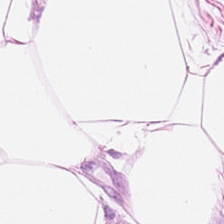224×224 pixel tile. Hematoxylin-and-eosin stained section.
Predominantly adipose tissue.
